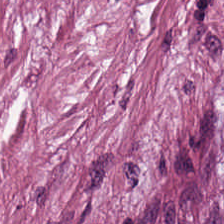FFPE · hematoxylin-and-eosin stained section — Histology — desmoplastic stroma.
